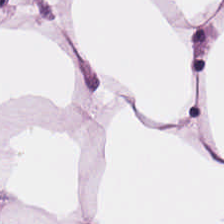H&E patch showing fat tissue.
